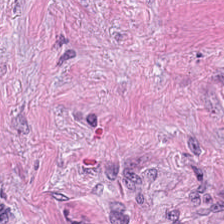Stain: hematoxylin-and-eosin stained section.
Acquisition: brightfield microscopy.
Preparation: FFPE.
Tissue type: tumor-associated stroma.
